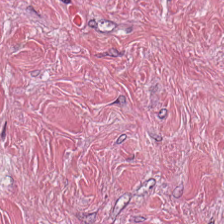Predominant tissue: tumor stroma.
